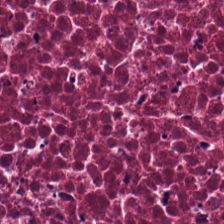The tissue type is debris.
